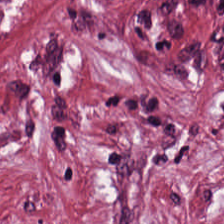Histology → tumor-associated stroma.
